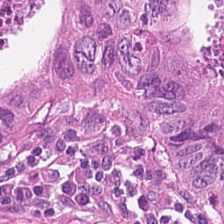H&E-stained tissue section — Tissue type: malignant epithelium.
